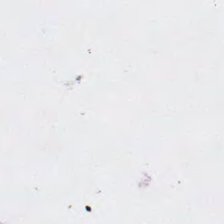20× equivalent magnification; WSI patch; H&E — Field content — empty background.
